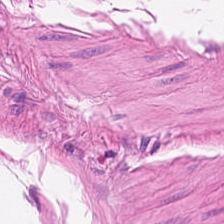{"tissue_type": "muscularis"}
